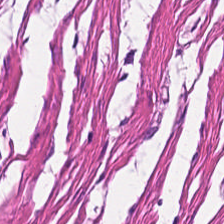H&E-stained tissue section. This field is smooth muscle.
